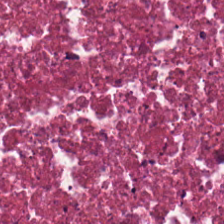The tissue type is necrotic debris.
